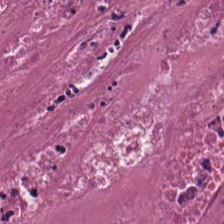0.5 µm per pixel; H&E — Debris.
